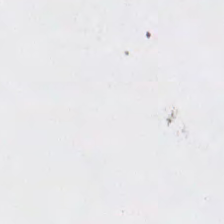Hematoxylin-and-eosin stained section; FFPE tissue section.
Background — no tissue in this field.
